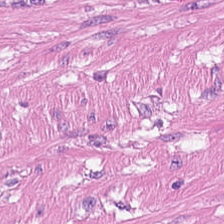FFPE · 224×224 pixel tile · hematoxylin-and-eosin stained section — Finding → smooth-muscle tissue.
